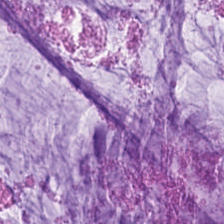H&E-stained section; the field shows extracellular mucin.
